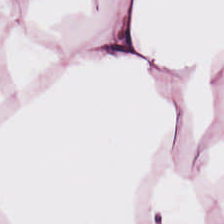Stain: hematoxylin-and-eosin stained section.
Tissue: fat tissue.
